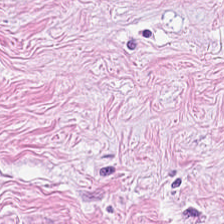20× equivalent magnification · hematoxylin and eosin — Impression — cancer-associated stroma.
